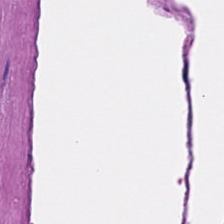224×224 px tile. Brightfield. Hematoxylin and eosin — This patch shows smooth muscle.
